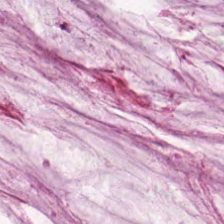Hematoxylin and eosin; 224×224 px patch. The predominant tissue is mucus.
